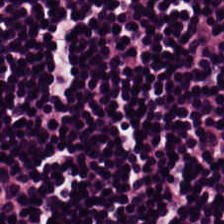Hematoxylin and eosin; formalin-fixed paraffin-embedded section. Classification = lymphocytes.
